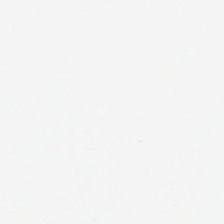The content is background (no tissue).
